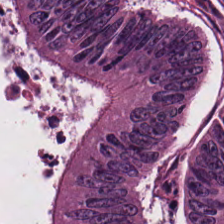Stain: H&E-stained tissue section.
Tile size: 224×224 px tile.
Predominant tissue: adenocarcinoma.
